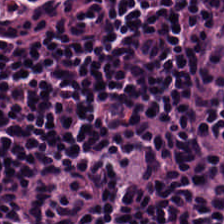0.5 µm per pixel · 224×224 px tile · hematoxylin-and-eosin stained section.
The tissue here is lymphocyte aggregate.
